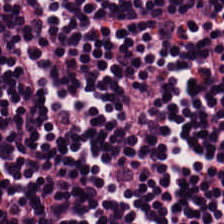Stain: hematoxylin and eosin.
Resolution: 0.5 µm per pixel.
Classification: lymphocytic infiltrate.
